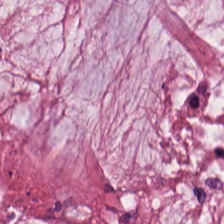WSI patch; H&E stain. Finding → extracellular mucin.
